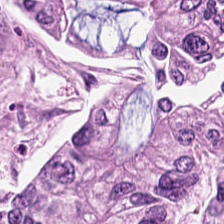H&E stain. {"tissue_type": "adenocarcinoma"}
